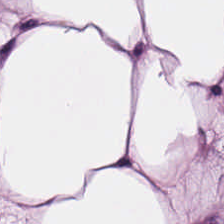FFPE tissue section · hematoxylin-and-eosin stained section. This field is adipocytes.
